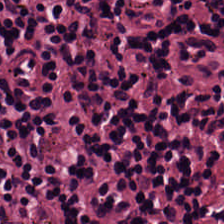Q: What is the predominant tissue type?
A: The field shows lymphocytes.
